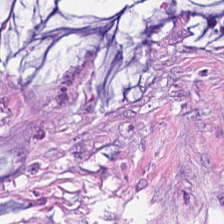H&E stain — Histology — tumor stroma.
